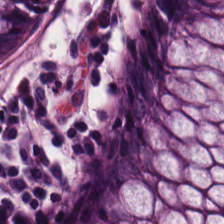WSI patch · hematoxylin and eosin — Q: What type of tissue is this?
A: It is normal colon mucosa.
